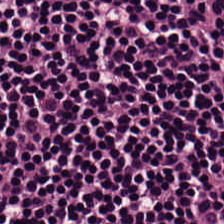Stain: H&E-stained tissue section.
Preparation: FFPE.
Tissue: lymphoid infiltrate.
